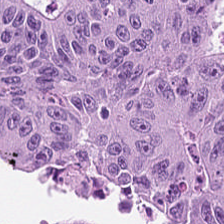Hematoxylin-and-eosin stained section. The tissue class is tumor epithelium.
